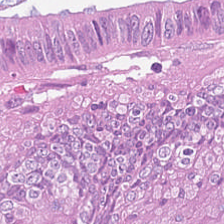H&E-stained tissue section — The predominant tissue is colorectal adenocarcinoma epithelium.
